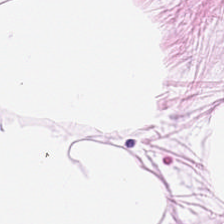0.5 µm per pixel. Formalin-fixed paraffin-embedded section. H&E.
Q: Classify this patch.
A: It is adipose.
